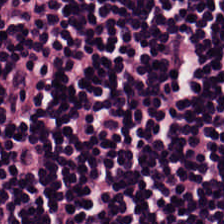Stain: H&E-stained tissue section.
Tile size: 224×224 px patch.
Predominant tissue: lymphocyte aggregate.
